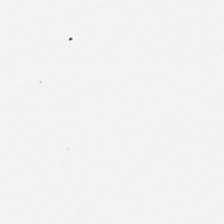H&E stain; 0.5 µm/px — Content = background.
